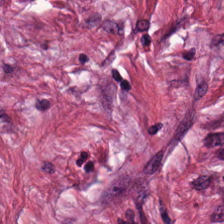H&E-stained tissue section.
This patch shows desmoplastic stroma.
